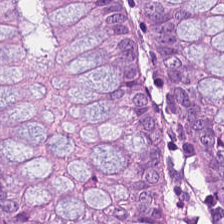H&E stain · 0.5 microns per pixel — Tissue type = benign colonic mucosa.
